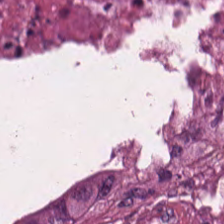Stain: H&E.
Tissue class: debris.
